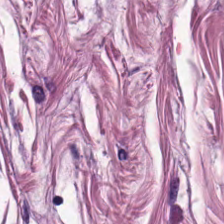Q: What tissue is shown?
A: It is muscularis.
